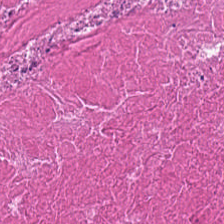H&E.
Showing debris.
